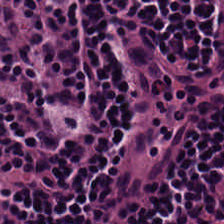Hematoxylin-and-eosin stained section. Finding — lymphocytes.
